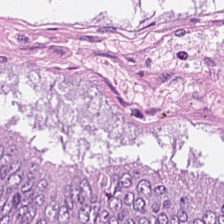H&E-stained tissue section. Impression → malignant epithelium.
